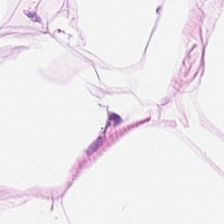Stain: H&E-stained tissue section.
Predominant tissue: fat tissue.
